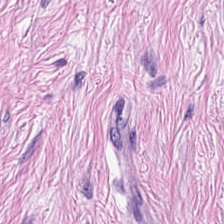H&E.
The predominant tissue is tumor-associated stroma.
